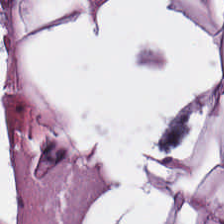224×224 pixel tile. Hematoxylin and eosin — The predominant tissue is fat tissue.
